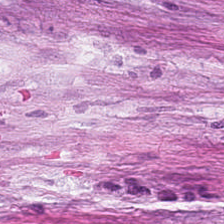Histology → tumor stroma.
